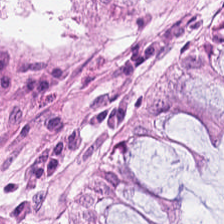Hematoxylin and eosin. {"tissue_type": "benign colonic mucosa"}
